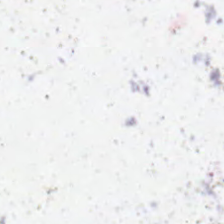Hematoxylin-and-eosin stained section — Background (no tissue).
